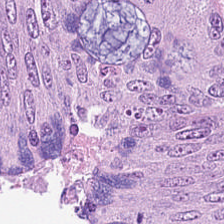Hematoxylin and eosin. Predominant tissue: colorectal adenocarcinoma.
